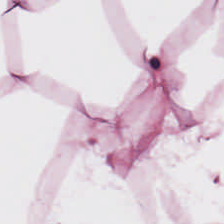Hematoxylin-and-eosin stained section. FFPE.
This field is fat tissue.
